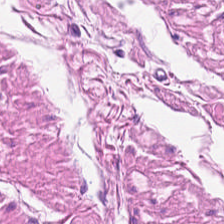Brightfield; H&E stain.
Predominantly smooth-muscle tissue.
